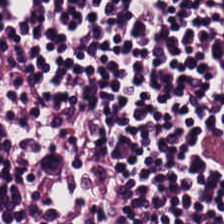Hematoxylin and eosin — Lymphocytic infiltrate.
